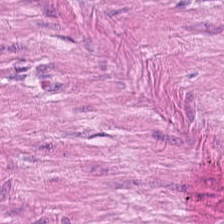H&E — Showing muscularis.
